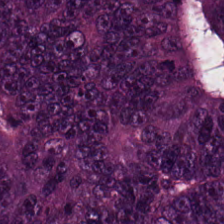Hematoxylin-and-eosin stained section.
Q: What is shown in this field?
A: The field shows colorectal adenocarcinoma.
